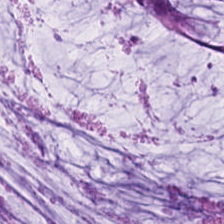H&E stain.
This patch shows extracellular mucin.
